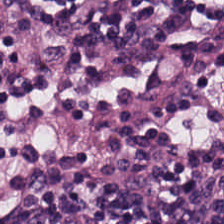H&E-stained tissue section — Q: What does this patch show?
A: This is lymphocytic infiltrate.
